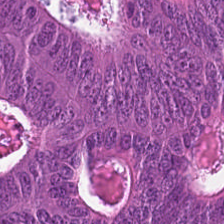Brightfield microscopy; H&E stain.
Q: What type of tissue is this?
A: Tumor epithelium.
